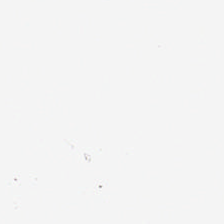Field content — empty background.
